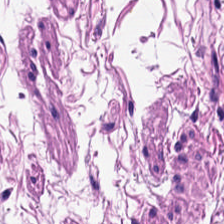H&E stain — The predominant tissue is smooth muscle.
